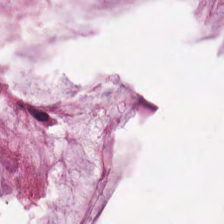0.5 microns per pixel. 224×224 pixel tile. Hematoxylin and eosin. {"tissue_type": "extracellular mucin"}
